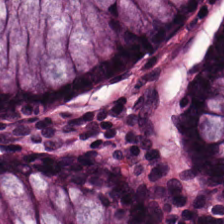H&E-stained tissue section. 224×224 pixel tile.
Tissue class — normal colon mucosa.
